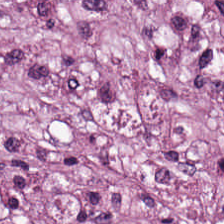H&E-stained section; the field shows cancer-associated stroma.
